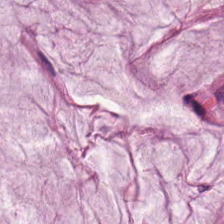Hematoxylin and eosin. Classification = mucin.
